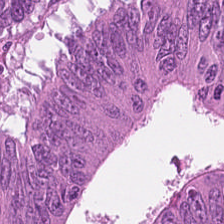H&E-stained tissue section. Q: What type of tissue is this?
A: Colorectal adenocarcinoma.
